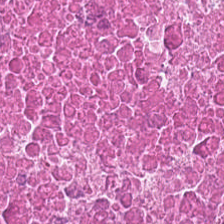20× equivalent magnification · H&E — The tissue here is debris.
